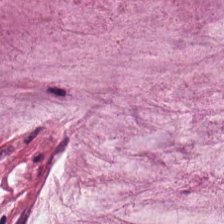This field is mucus.
